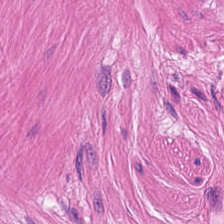H&E stain; FFPE — Tissue type — smooth-muscle tissue.
